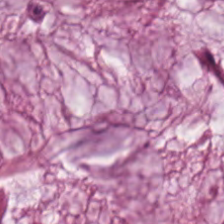WSI patch; hematoxylin-and-eosin stained section. The tissue here is mucin.
